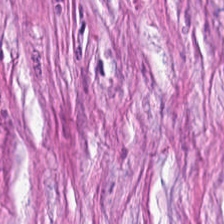The classification is tumor stroma.
